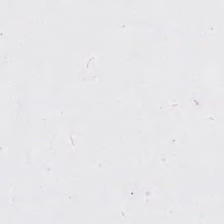FFPE · H&E stain — This field is background (no tissue).
